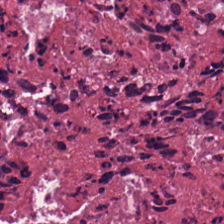H&E — Q: What tissue type is shown here?
A: Necrotic debris.
